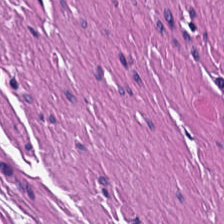H&E-stained tissue section.
Tissue class: muscularis.
